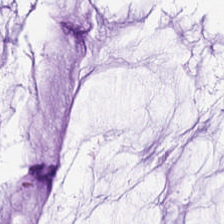Stain: hematoxylin and eosin.
Tissue class: mucin.
